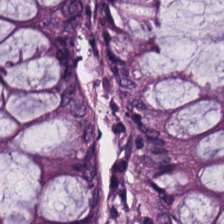224×224 px tile; hematoxylin-and-eosin stained section. This field is benign colonic mucosa.
